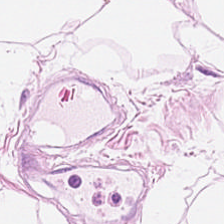Hematoxylin-and-eosin stained section — Q: Classify this patch.
A: It is adipose tissue.
